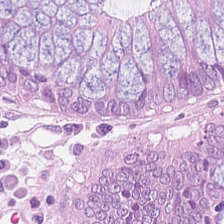Stain: H&E-stained tissue section.
Classification: non-neoplastic colon mucosa.
